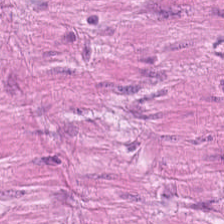H&E. This field is smooth-muscle tissue.
